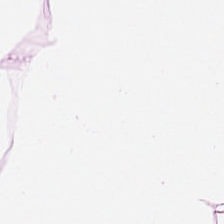Stain: hematoxylin and eosin.
Preparation: formalin-fixed paraffin-embedded section.
Classification: adipocytes.
